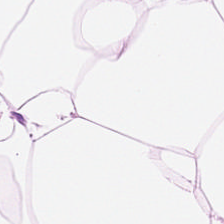224×224 pixel tile; hematoxylin-and-eosin stained section; FFPE — Tissue class: adipose.
